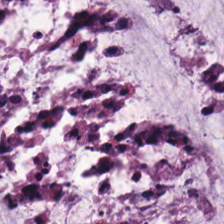Q: What is shown here?
A: It is extracellular mucin.
